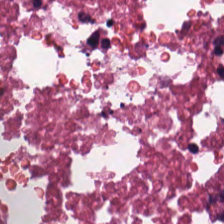H&E — Q: Identify the tissue.
A: This is debris.
